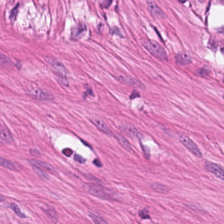WSI patch. 224×224 pixel tile. H&E-stained tissue section. Tissue class: smooth-muscle tissue.
